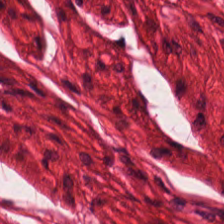WSI patch. Hematoxylin-and-eosin stained section.
The tissue type is smooth muscle.
